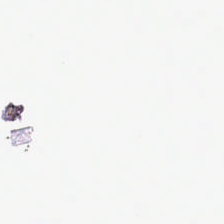H&E stain.
Background.
